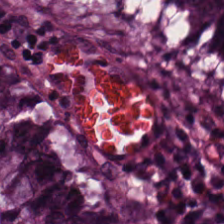Normal colon mucosa.
